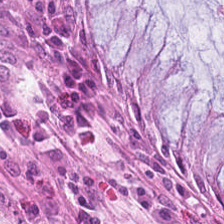H&E stain. The tissue here is normal colon mucosa.
